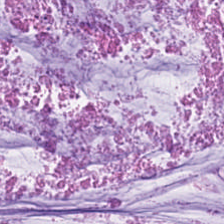Q: What is shown here?
A: It is mucin.
